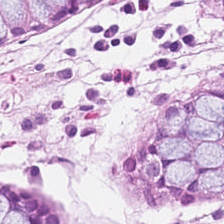The classification is non-neoplastic colon mucosa.
